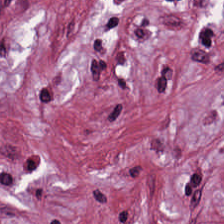Hematoxylin-and-eosin stained section — Q: What type of tissue is this?
A: This is tumor stroma.
